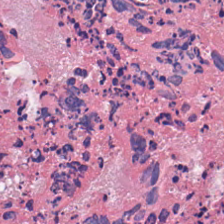H&E.
The tissue class is cellular debris.
